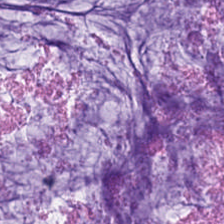H&E-stained tissue section. Classification — mucin.
